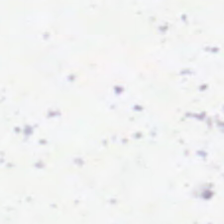224×224 px tile; FFPE tissue section; H&E. This patch shows empty background.
